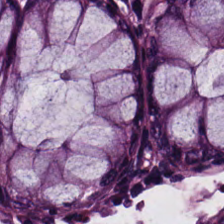Hematoxylin-and-eosin stained section · 224×224 px patch.
Non-neoplastic colon mucosa.
